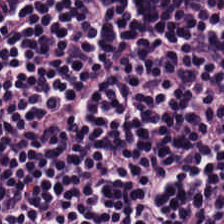H&E stain; WSI patch — Predominantly lymphocyte aggregate.
